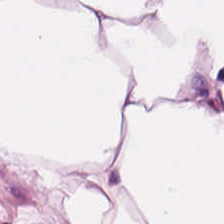Adipose.
